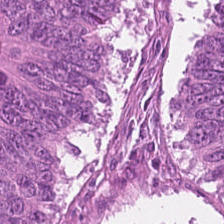H&E — adenocarcinoma.
